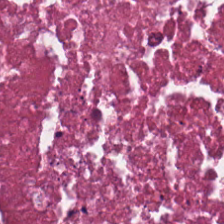H&E stain.
Predominantly necrotic debris.
